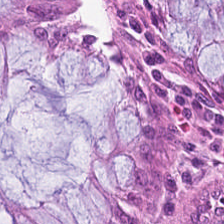H&E-stained tissue section · 224×224 pixel tile.
Classification = benign colonic mucosa.
